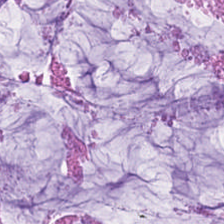H&E-stained tissue section showing extracellular mucin.
